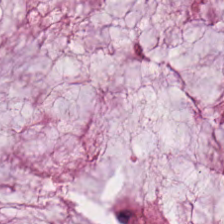H&E patch showing extracellular mucin.
